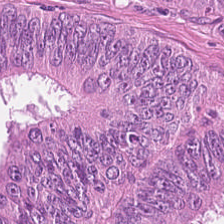H&E stain — The predominant tissue is malignant epithelium.
